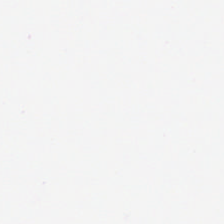H&E stain. Content = empty background.
